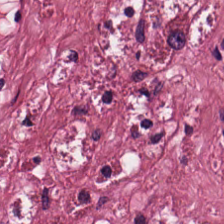Showing tumor stroma.
